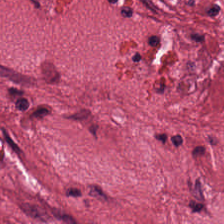Hematoxylin and eosin · whole-slide-image patch. Tumor stroma.
